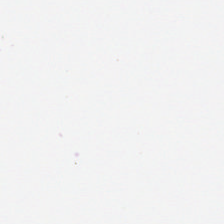H&E-stained tissue section.
Q: What is shown here?
A: Empty background.
